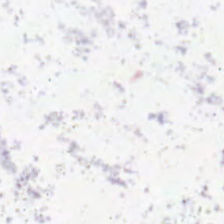WSI patch · H&E-stained tissue section.
Background — no tissue in this field.
